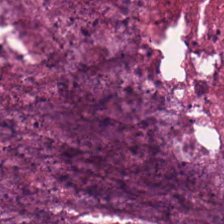0.5 µm/px. H&E.
This field is necrotic debris.
